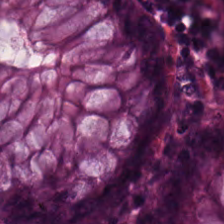Whole-slide-image patch. H&E-stained tissue section. FFPE — Q: What tissue is shown?
A: It is benign colonic mucosa.
